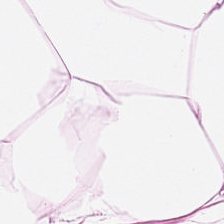0.5 µm/px · FFPE tissue section · H&E — This field is adipose.
